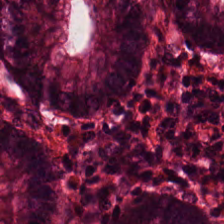H&E stain — This patch shows normal colonic mucosa.
